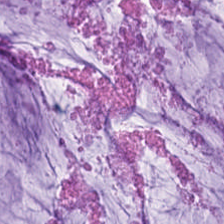Finding → mucin.
